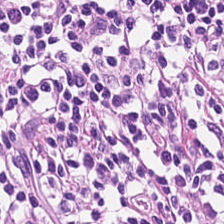Hematoxylin-and-eosin stained section — Classification = lymphoid infiltrate.
